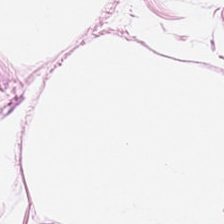H&E · 224×224 px patch — Showing fat tissue.
